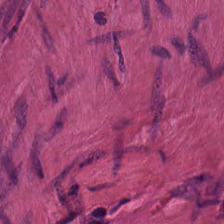H&E — This field is smooth muscle.
